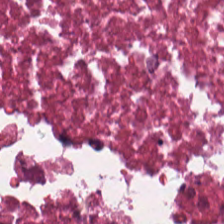224×224 pixel tile. Hematoxylin-and-eosin stained section. Predominantly cellular debris.
